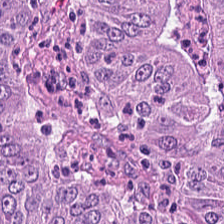Tissue: tumor epithelium.
